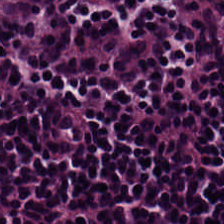224×224 px patch. Hematoxylin-and-eosin stained section — Predominantly lymphocyte aggregate.
